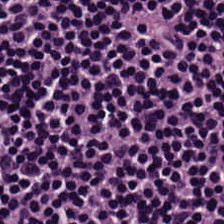Hematoxylin and eosin. Tissue type — lymphoid infiltrate.
